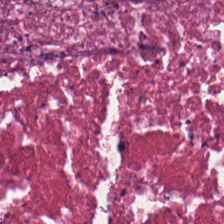H&E · 224×224 pixel tile · 20× equivalent magnification. The predominant tissue is necrotic debris.
